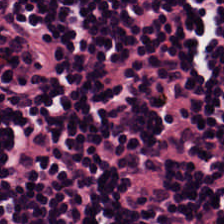Hematoxylin and eosin — The tissue here is lymphocyte aggregate.
